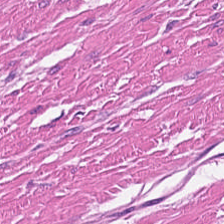This patch shows smooth-muscle tissue.
